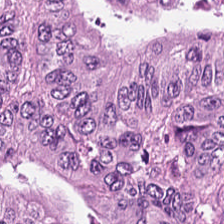H&E-stained tissue section. Predominant tissue: malignant epithelium.
